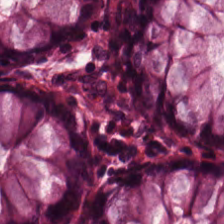H&E-stained tissue section. Q: What type of tissue is this?
A: The field shows benign colonic mucosa.
